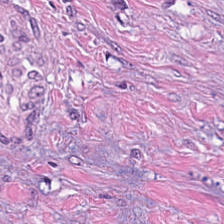Impression → tumor stroma.
